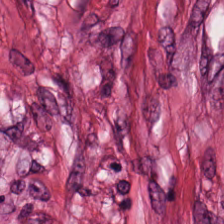H&E stain. 20× equivalent magnification. Brightfield microscopy. Showing cancer-associated stroma.
